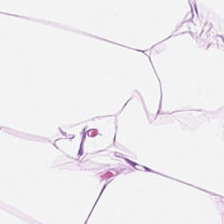Brightfield · H&E. Adipose.
